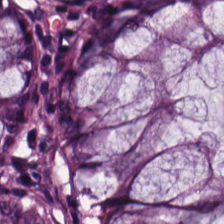Hematoxylin-and-eosin stained section.
Predominant tissue — non-neoplastic colon mucosa.
